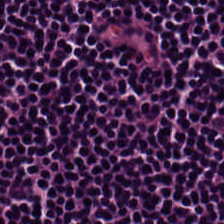H&E — Predominantly lymphoid infiltrate.
